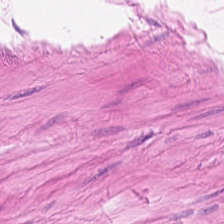FFPE tissue section; H&E stain. Q: What is shown here?
A: The field shows muscularis.
